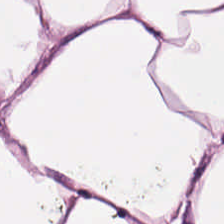Hematoxylin-and-eosin stained section; whole-slide-image patch; 224×224 px tile.
The predominant tissue is adipose.
